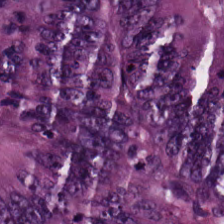Stain: H&E.
Classification: colorectal adenocarcinoma.
